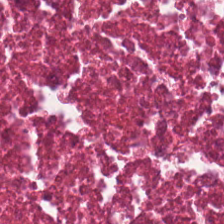Whole-slide-image patch. H&E-stained tissue section. 0.5 µm per pixel.
The tissue here is necrotic debris.
